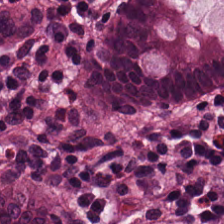Hematoxylin and eosin — Tissue class — non-neoplastic colon mucosa.
